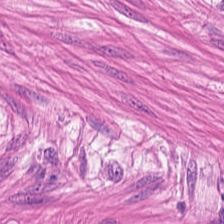H&E-stained tissue section · WSI patch.
Finding — muscularis.
